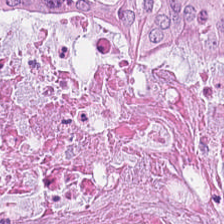224×224 px patch; whole-slide-image patch; hematoxylin-and-eosin stained section — The tissue here is tumor epithelium.
